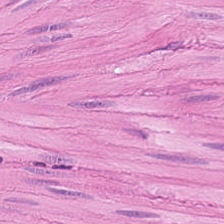Brightfield microscopy; FFPE tissue section; hematoxylin and eosin.
Q: What is shown in this field?
A: It is smooth muscle.
